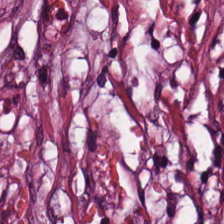Formalin-fixed paraffin-embedded section; H&E-stained tissue section.
Showing desmoplastic stroma.
